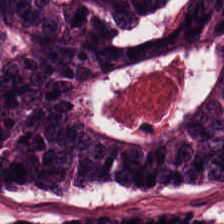The tissue here is adenocarcinoma.
